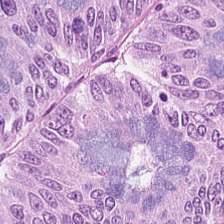This field is tumor epithelium.
